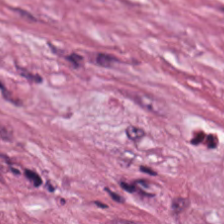Classification — tumor-associated stroma.
